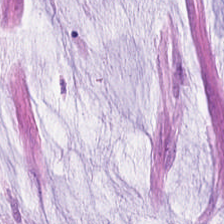H&E-stained tissue section — The tissue here is mucus.
